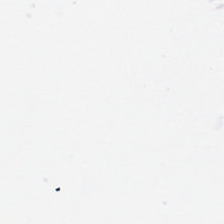FFPE; hematoxylin-and-eosin stained section.
Classification = background.
